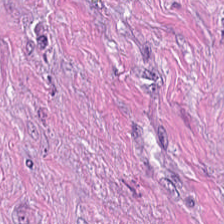Whole-slide-image patch. H&E-stained tissue section — Cancer-associated stroma.
